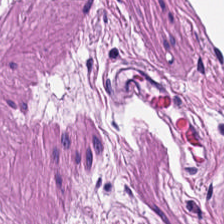H&E.
Finding → smooth muscle.
